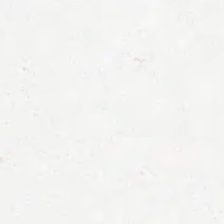H&E; brightfield; 0.5 microns per pixel.
This field is background (no tissue).
